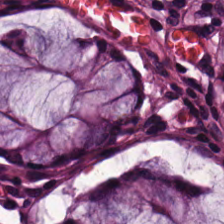H&E-stained tissue section — Non-neoplastic colon mucosa.
